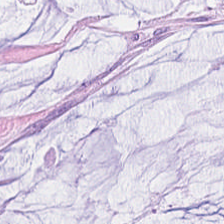H&E stain — Impression — extracellular mucin.
